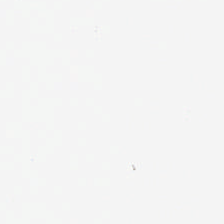Hematoxylin-and-eosin stained section. FFPE tissue section. 0.5 microns per pixel. Empty background.
